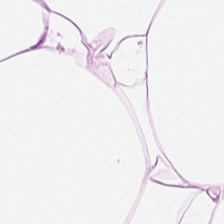H&E — Predominantly adipocytes.
